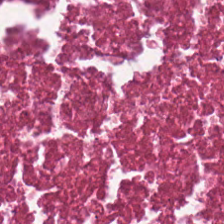H&E — Tissue = cellular debris.
